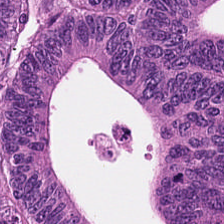Stain: H&E.
Tissue type: colorectal adenocarcinoma.
